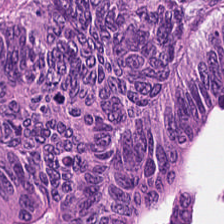Hematoxylin and eosin; whole-slide-image patch — Classification = colorectal adenocarcinoma epithelium.
